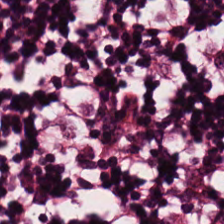H&E stain; brightfield — Q: What is shown in this field?
A: It is lymphocytes.
